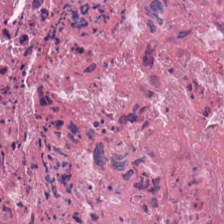224×224 pixel tile · hematoxylin and eosin · formalin-fixed paraffin-embedded section. Tissue class = cellular debris.
